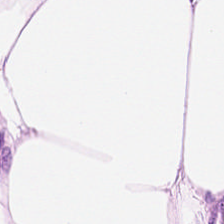Formalin-fixed paraffin-embedded section; hematoxylin-and-eosin stained section.
Q: Identify the tissue.
A: Adipocytes.
